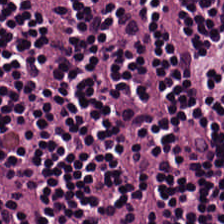The classification is lymphocytes.
